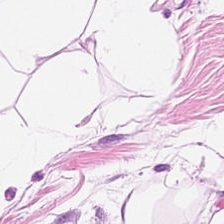Hematoxylin-and-eosin stained section.
Q: What does this patch show?
A: The field shows fat tissue.
